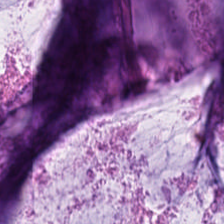Hematoxylin-and-eosin stained section. The tissue here is mucin.
